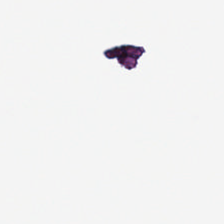H&E-stained tissue section. Q: Classify this patch.
A: This is empty background.
